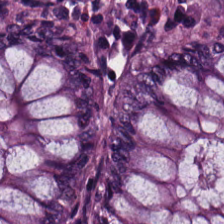H&E-stained section; the field shows benign colonic mucosa.
